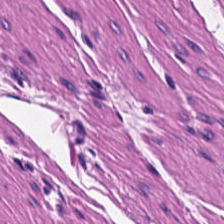FFPE; H&E-stained tissue section.
Histology → smooth muscle.
